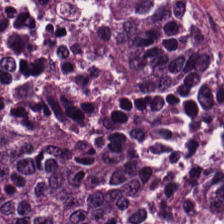Hematoxylin and eosin. Brightfield. 224×224 pixel tile. The tissue here is tumor epithelium.
